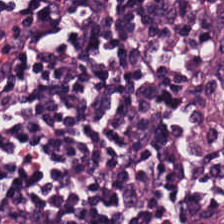H&E-stained tissue section — Predominant tissue — lymphocyte aggregate.
